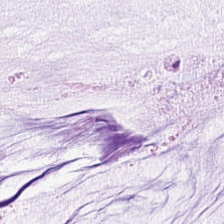0.5 microns per pixel; hematoxylin and eosin.
Mucin.
